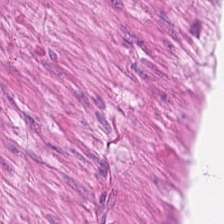224×224 pixel tile. H&E stain. Formalin-fixed paraffin-embedded section.
Tissue type = smooth-muscle tissue.
